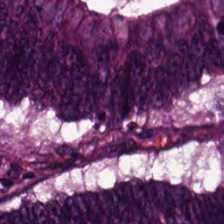H&E.
The tissue class is adenocarcinoma.
